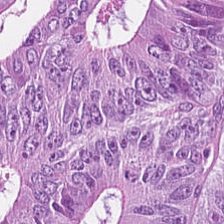H&E stain.
Impression → colorectal adenocarcinoma.
